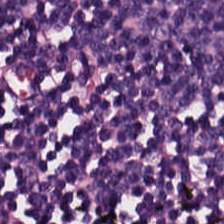The tissue is lymphocyte aggregate.
